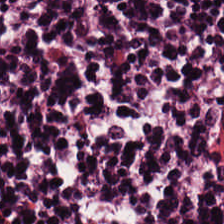H&E-stained tissue section.
Q: Identify the tissue.
A: This is lymphoid infiltrate.
